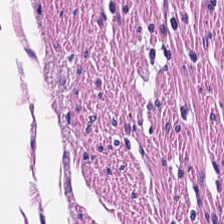H&E; 20× equivalent magnification. Tissue class — smooth muscle.
